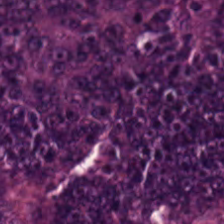Histology → malignant epithelium.
